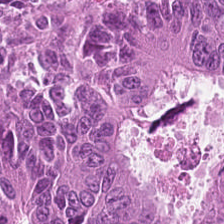H&E stain; whole-slide-image patch — This patch shows colorectal adenocarcinoma.
